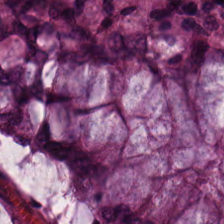224×224 px patch; H&E-stained tissue section; FFPE — The predominant tissue is normal colon mucosa.
